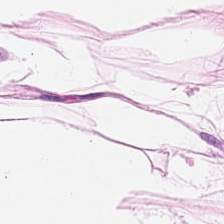0.5 microns per pixel · hematoxylin and eosin · WSI patch. Tissue class = adipose.
